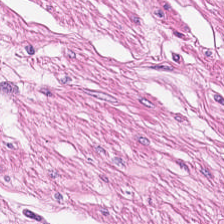Stain: H&E-stained tissue section.
Tile size: 224×224 pixel tile.
Tissue class: smooth muscle.
